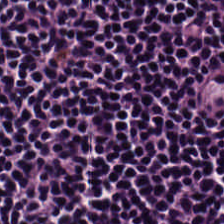0.5 microns per pixel; formalin-fixed paraffin-embedded section; hematoxylin-and-eosin stained section — Predominantly lymphoid infiltrate.
